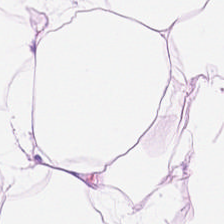Hematoxylin and eosin; FFPE tissue section — Fat tissue.
